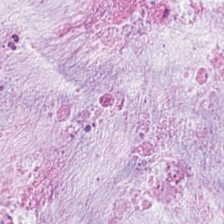Hematoxylin and eosin · 0.5 µm per pixel — Mucus.
